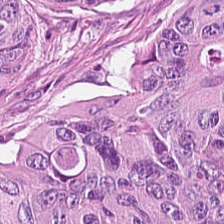Brightfield microscopy. H&E-stained tissue section. Tissue type = tumor epithelium.
